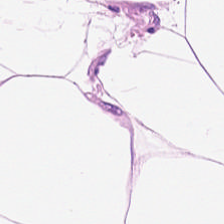H&E stain.
Q: What tissue is shown?
A: It is adipose tissue.
